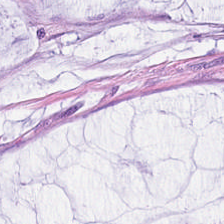WSI patch. 224×224 px tile. H&E-stained tissue section — Showing extracellular mucin.
